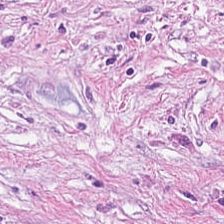0.5 microns per pixel · hematoxylin-and-eosin stained section — Predominantly desmoplastic stroma.
